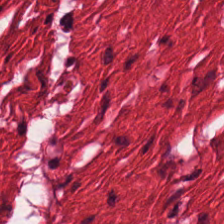224×224 px tile · H&E stain. Predominant tissue: smooth muscle.
